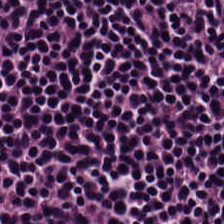20× equivalent magnification; H&E-stained tissue section.
Q: What is shown in this field?
A: It is lymphocytic infiltrate.
